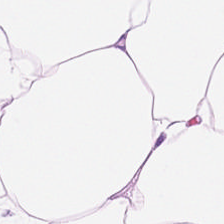Hematoxylin-and-eosin stained section. The tissue class is adipose tissue.
